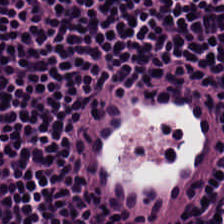Hematoxylin-and-eosin stained section. Formalin-fixed paraffin-embedded section.
The predominant tissue is lymphocytic infiltrate.
